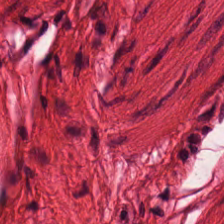H&E stain. Q: What type of tissue is this?
A: Muscularis.
